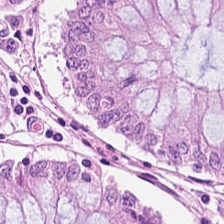H&E-stained tissue section · 224×224 pixel tile · formalin-fixed paraffin-embedded section — Q: Classify this patch.
A: This is normal colonic mucosa.
